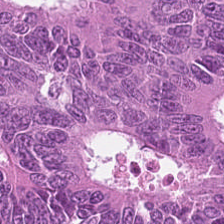Impression → adenocarcinoma.
